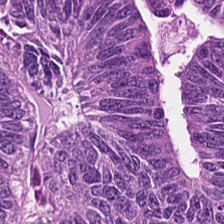WSI patch · H&E.
Predominant tissue — malignant epithelium.
